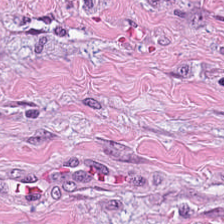H&E stain. 0.5 µm/px. Formalin-fixed paraffin-embedded section — Q: What tissue type is shown here?
A: This is desmoplastic stroma.
